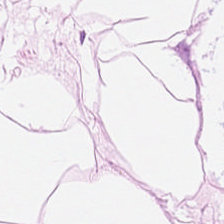Hematoxylin-and-eosin stained section · WSI patch.
The tissue class is adipose.
